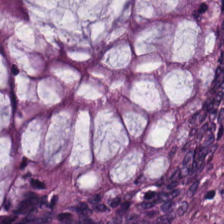224×224 px tile. 0.5 µm per pixel. H&E — The tissue is benign colonic mucosa.
